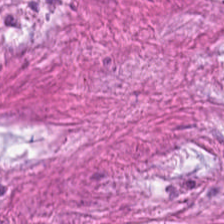H&E-stained tissue section. 224×224 px patch — Classification = desmoplastic stroma.
